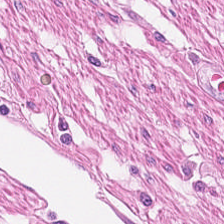Whole-slide-image patch · H&E-stained tissue section — Tissue — muscularis.
